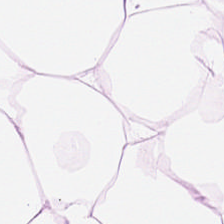H&E — adipocytes.
